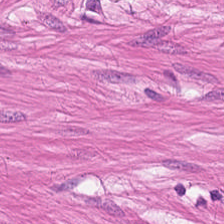Hematoxylin and eosin.
Showing muscularis.
